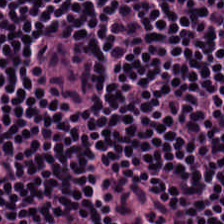H&E stain — The tissue here is lymphoid infiltrate.
